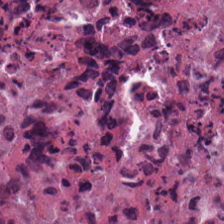Tissue = cellular debris.
